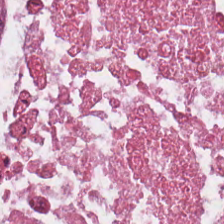Stain: H&E-stained tissue section.
Classification: colorectal adenocarcinoma epithelium.
